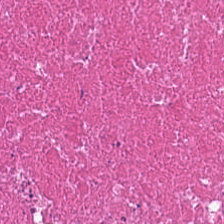{"tissue_type": "debris"}
